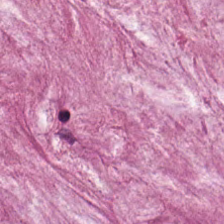Formalin-fixed paraffin-embedded section · hematoxylin and eosin · brightfield — Predominantly extracellular mucin.
